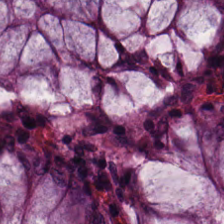Hematoxylin and eosin.
Tissue: benign colonic mucosa.
